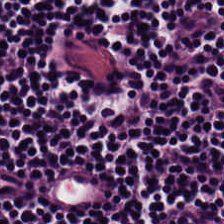The predominant tissue is lymphocyte aggregate.
